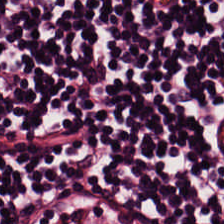H&E-stained tissue section. Tissue — lymphocytes.
